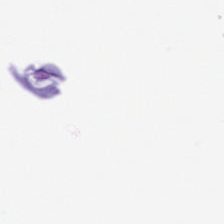224×224 px tile · 20× equivalent magnification · hematoxylin-and-eosin stained section.
Q: What is shown in this field?
A: It is empty background.
